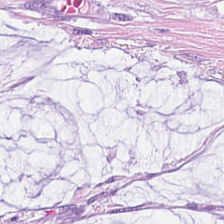H&E.
The predominant tissue is mucin.
